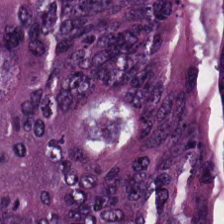WSI patch · FFPE tissue section · H&E stain — Showing colorectal adenocarcinoma.
